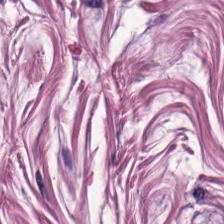H&E-stained tissue section.
Histology → smooth-muscle tissue.
